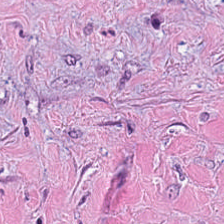Hematoxylin and eosin; 224×224 px patch.
Classification: tumor-associated stroma.
